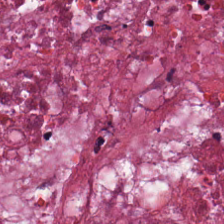H&E stain. {"tissue_type": "debris"}
